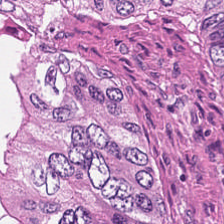Stain: hematoxylin-and-eosin stained section.
Tissue class: necrotic debris.
